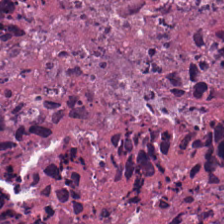The predominant tissue is necrotic debris.
